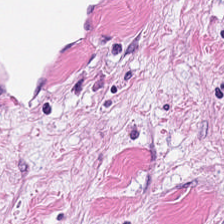H&E; FFPE tissue section; brightfield microscopy — This field is tumor stroma.
